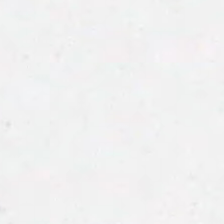H&E-stained tissue section.
Field content — background.
